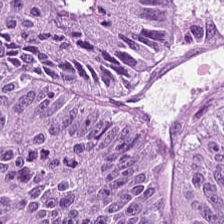Stain: H&E-stained tissue section.
Tissue type: malignant epithelium.
